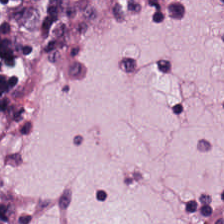H&E stain.
Predominant tissue: lymphocytic infiltrate.
